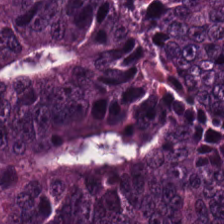H&E stain — Predominantly adenocarcinoma.
